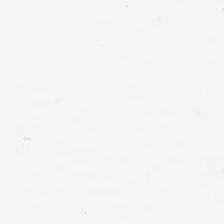Hematoxylin-and-eosin stained section. {"content": "empty background"}
